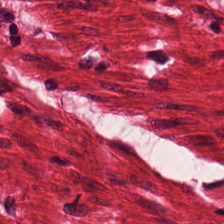H&E stain. 0.5 µm/px. 224×224 px patch — Showing muscularis.
